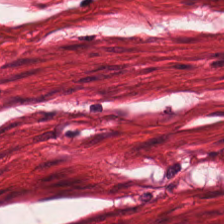H&E. 0.5 microns per pixel. Tissue type = smooth-muscle tissue.
